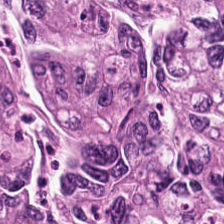H&E-stained tissue section.
Classification: colorectal adenocarcinoma.
